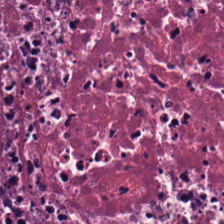Whole-slide-image patch · H&E — Showing necrotic debris.
